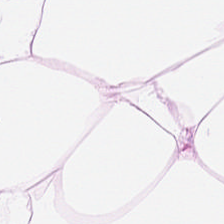Brightfield · H&E stain — Finding — adipose tissue.
